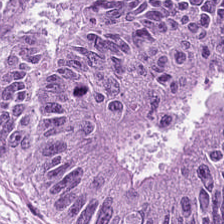Hematoxylin-and-eosin stained section — Impression — colorectal adenocarcinoma.
